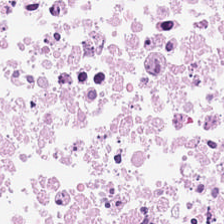Stain: hematoxylin and eosin.
Acquisition: brightfield microscopy.
Resolution: 0.5 µm/px.
Tissue: debris.
